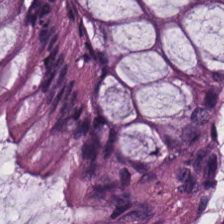224×224 pixel tile; 0.5 µm per pixel; hematoxylin and eosin. The predominant tissue is normal colon mucosa.
